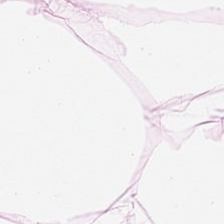H&E. Q: What is the predominant tissue type?
A: This is fat tissue.
